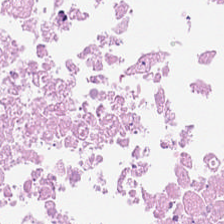Tissue — debris.
